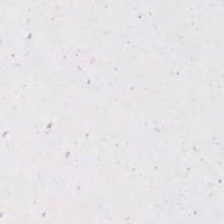Stain: H&E.
Classification: no tissue.
